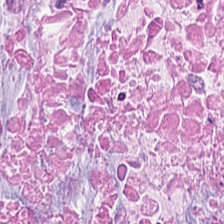The predominant tissue is necrotic debris.
